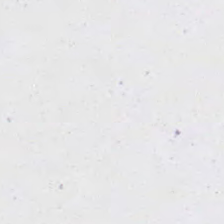H&E — Background (no tissue).
